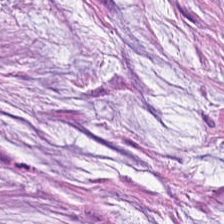Formalin-fixed paraffin-embedded section. Hematoxylin-and-eosin stained section — {"tissue_type": "extracellular mucin"}
